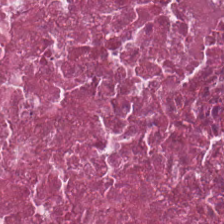WSI patch. Hematoxylin and eosin. 224×224 pixel tile.
The tissue type is necrotic debris.
